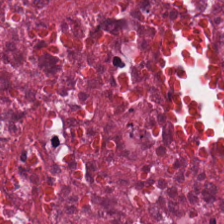Hematoxylin-and-eosin stained section — This patch shows necrotic debris.
